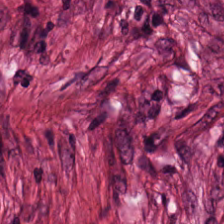Stain: H&E stain.
Acquisition: whole-slide-image patch.
Tile size: 224×224 px tile.
Tissue: tumor stroma.
